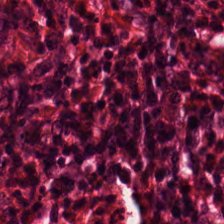Stain: hematoxylin and eosin.
Classification: non-neoplastic colon mucosa.
